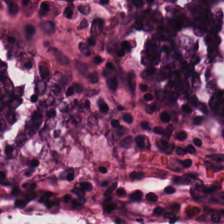0.5 µm/px; H&E stain; WSI patch — Normal colonic mucosa.
